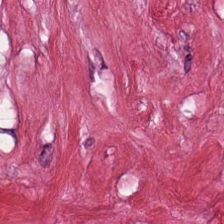Hematoxylin and eosin. 0.5 microns per pixel. Whole-slide-image patch. Histology → desmoplastic stroma.
